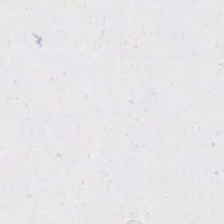H&E-stained tissue section.
Content: empty background.
